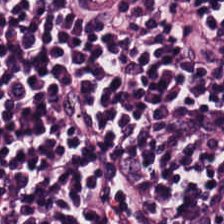Q: What tissue type is shown here?
A: It is lymphocytes.
